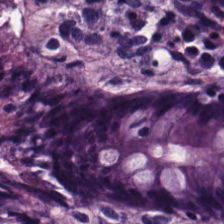H&E-stained tissue section. Formalin-fixed paraffin-embedded section. Q: Identify the tissue.
A: It is normal colon mucosa.
